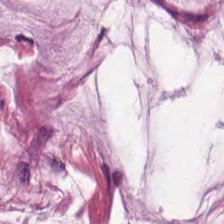Tissue — extracellular mucin.
